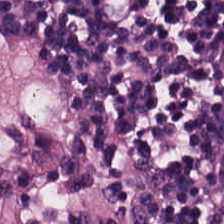The tissue class is lymphocyte aggregate.
